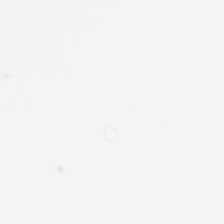Finding → background.
